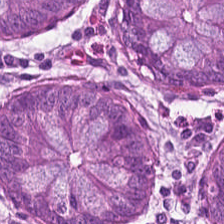{"tissue_type": "non-neoplastic colon mucosa"}
